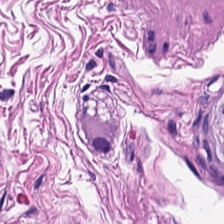H&E-stained tissue section.
Q: What is shown here?
A: The field shows smooth muscle.
